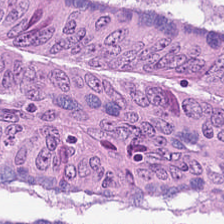H&E-stained tissue section. Impression → tumor epithelium.
